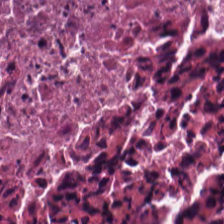Hematoxylin and eosin. Showing debris.
